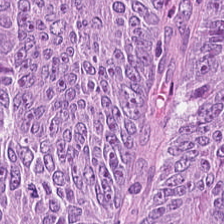Stain: hematoxylin and eosin.
Preparation: formalin-fixed paraffin-embedded section.
Tissue class: malignant epithelium.
